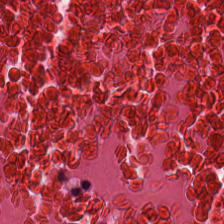H&E stain. Tissue type: cellular debris.
